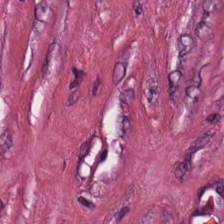H&E-stained tissue section. Tissue class — tumor stroma.
